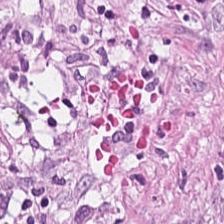Hematoxylin-and-eosin stained section. 20× equivalent magnification.
Tissue type: tumor-associated stroma.
